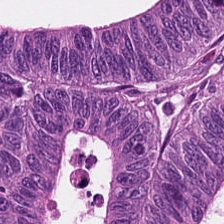Predominant tissue: colorectal adenocarcinoma epithelium.
